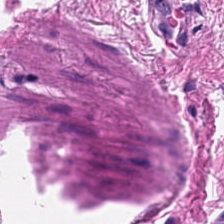224×224 px patch. Hematoxylin-and-eosin stained section — Finding → smooth muscle.
